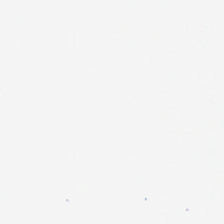Hematoxylin and eosin · 224×224 px patch. Q: Classify this patch.
A: This is background.
